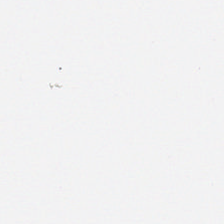{"content": "background"}
